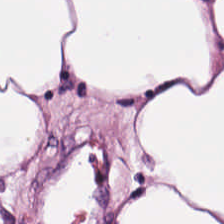Hematoxylin-and-eosin stained section. Finding → adipose tissue.
